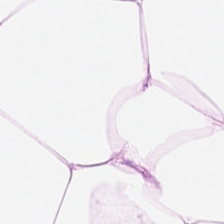FFPE · hematoxylin and eosin — Q: Identify the tissue.
A: The field shows adipose tissue.
